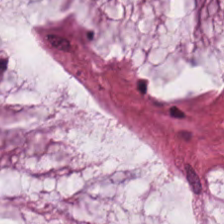H&E — The tissue is mucus.
